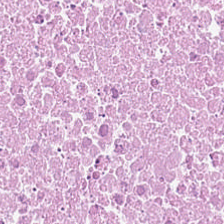H&E-stained tissue section. 224×224 pixel tile. This patch shows necrotic debris.
